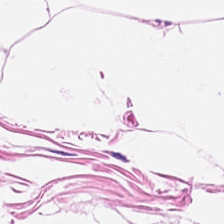H&E · WSI patch.
Tissue type: adipose.
